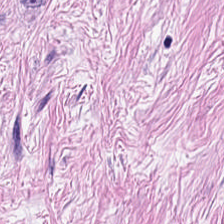224×224 pixel tile; hematoxylin and eosin. Tissue = tumor-associated stroma.
